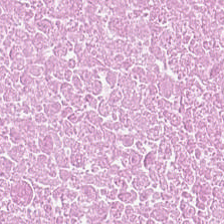224×224 px tile. H&E stain.
The tissue class is necrotic debris.
